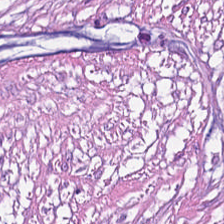Stain: hematoxylin-and-eosin stained section.
Classification: cancer-associated stroma.
